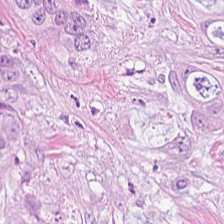H&E. Finding — colorectal adenocarcinoma.
